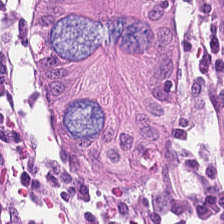Q: What is the predominant tissue type?
A: Non-neoplastic colon mucosa.
